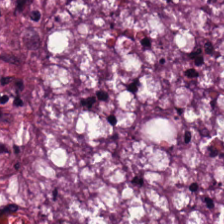Classification = colorectal adenocarcinoma.
